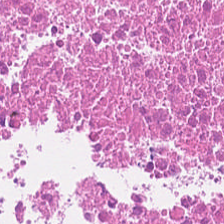224×224 px tile. Hematoxylin-and-eosin stained section — Tissue type: necrotic debris.
